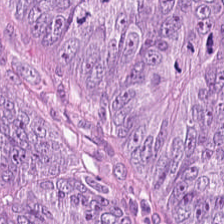Hematoxylin and eosin; WSI patch; 224×224 px patch.
This field is colorectal adenocarcinoma epithelium.
